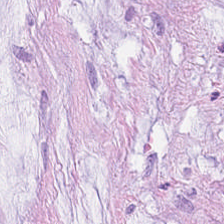0.5 µm/px. H&E-stained tissue section.
Q: What does this patch show?
A: Mucus.
